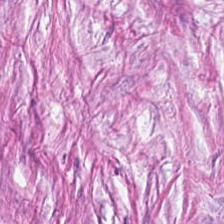Impression → tumor stroma.
